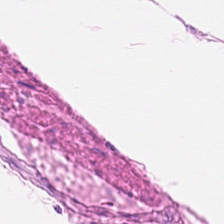H&E stain. Brightfield — Predominant tissue = smooth muscle.
